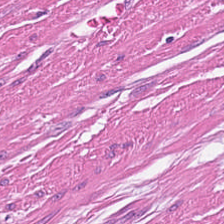Predominant tissue = smooth-muscle tissue.
